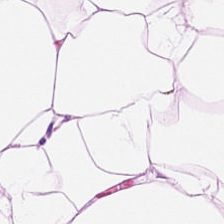Whole-slide-image patch. Hematoxylin and eosin — Predominantly adipose.
